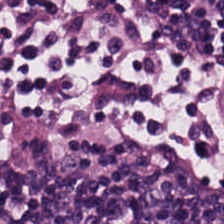Tissue: lymphocytes.
